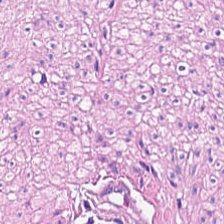Stain: H&E stain.
Classification: smooth-muscle tissue.
